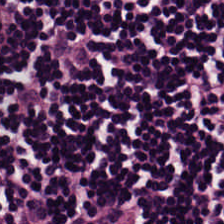This field is lymphocytes.
